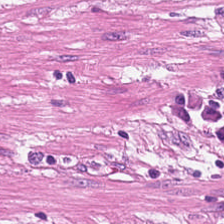Q: What tissue is shown?
A: The field shows smooth muscle.
